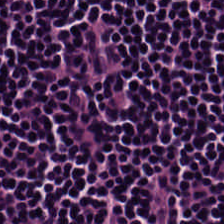Brightfield. H&E stain. 20× equivalent magnification — Classification — lymphocyte aggregate.
